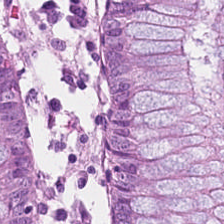Stain: hematoxylin and eosin.
Tissue type: normal colonic mucosa.
